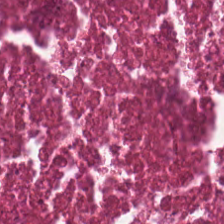The tissue class is cellular debris.
